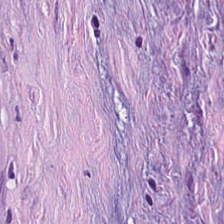H&E stain. FFPE.
Histology → tumor-associated stroma.
